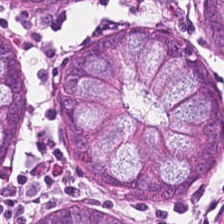H&E stain · brightfield microscopy · 224×224 pixel tile — Benign colonic mucosa.
